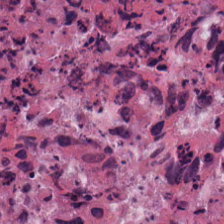Impression — necrotic debris.
